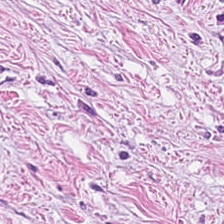Hematoxylin and eosin.
Q: What is shown in this field?
A: The field shows tumor-associated stroma.
